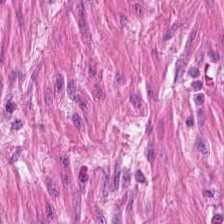H&E stain. 0.5 µm/px. Histology → smooth muscle.
